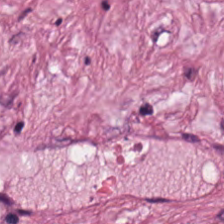224×224 px tile · hematoxylin-and-eosin stained section · FFPE.
Showing tumor-associated stroma.
